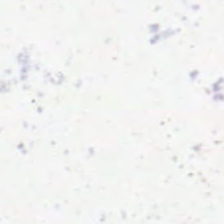FFPE · 224×224 px patch · H&E-stained tissue section. Q: Classify this patch.
A: No tissue.
